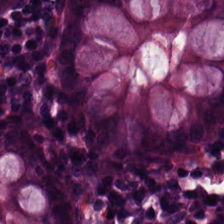H&E. The classification is benign colonic mucosa.
